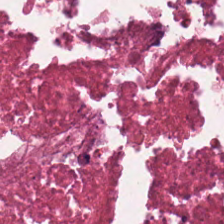H&E stain. Formalin-fixed paraffin-embedded section. WSI patch.
Impression → cellular debris.
